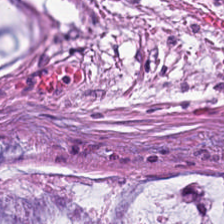H&E stain. Histology — mucin.
